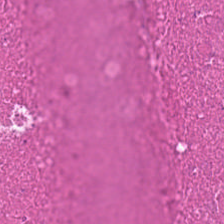H&E stain.
Tissue type: debris.
